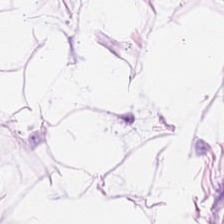H&E stain.
Q: What type of tissue is this?
A: This is adipose tissue.
